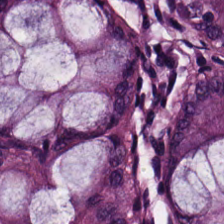H&E stain; FFPE tissue section; 224×224 px patch. {"tissue_type": "normal colon mucosa"}
